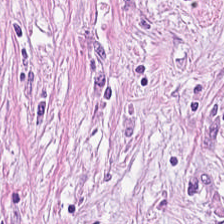Hematoxylin and eosin — The tissue type is tumor-associated stroma.
